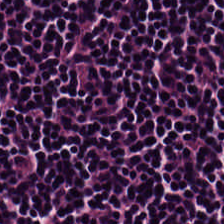Hematoxylin-and-eosin stained section · FFPE tissue section. Lymphocytes.
